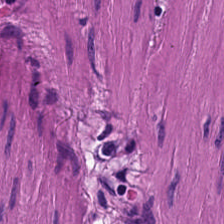This field is smooth-muscle tissue.
